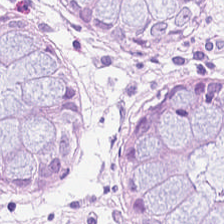H&E — Histology → non-neoplastic colon mucosa.
